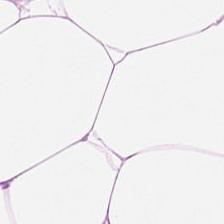H&E patch showing fat tissue.
